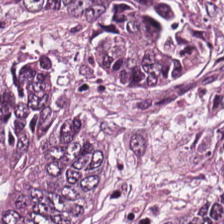H&E-stained tissue section. 224×224 pixel tile — The classification is colorectal adenocarcinoma.
